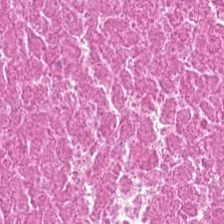Hematoxylin and eosin. FFPE tissue section. Brightfield.
The tissue here is cellular debris.
